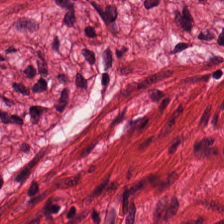H&E stain. 20× equivalent magnification — Muscularis.
